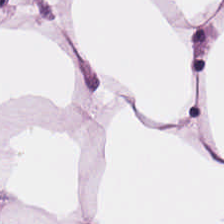Impression — adipocytes.
